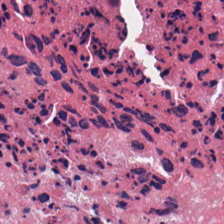Q: What tissue type is shown here?
A: Debris.
